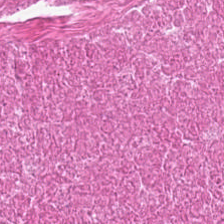Q: What tissue type is shown here?
A: This is debris.
